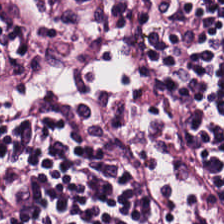Hematoxylin and eosin — Lymphoid infiltrate.
